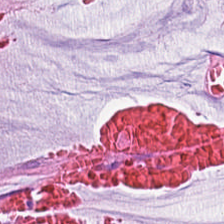Tissue type = mucin.
